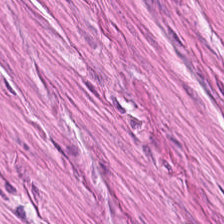Stain: hematoxylin-and-eosin stained section.
Acquisition: brightfield.
Tissue class: smooth-muscle tissue.
